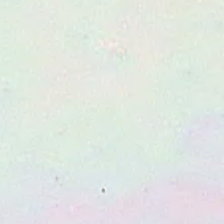{"content": "background (no tissue)"}
